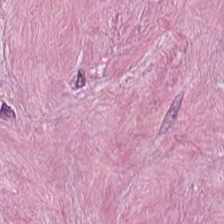H&E-stained tissue section. Histology → cancer-associated stroma.
